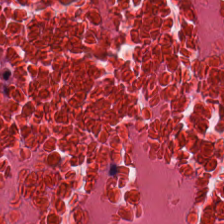H&E — This patch shows debris.
